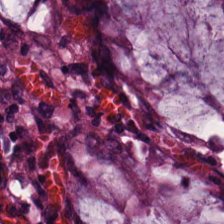FFPE tissue section. 224×224 pixel tile. H&E stain. Q: What does this patch show?
A: Benign colonic mucosa.
